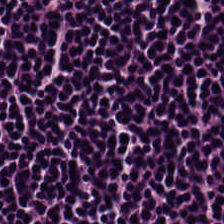Q: What tissue type is shown here?
A: It is lymphocytic infiltrate.
